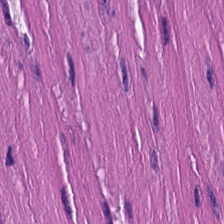Hematoxylin-and-eosin stained section.
The tissue here is smooth muscle.
